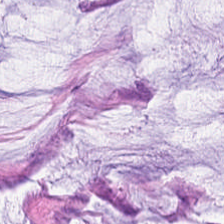WSI patch · hematoxylin and eosin — Q: Classify this patch.
A: The field shows mucus.
